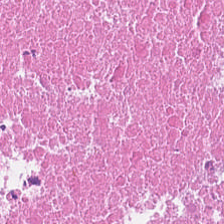H&E stain — Predominantly cellular debris.
